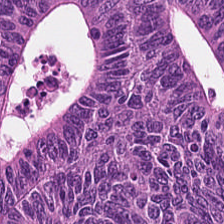H&E-stained section; the field shows adenocarcinoma.
